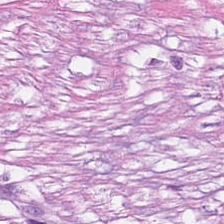Stain: H&E-stained tissue section.
Acquisition: WSI patch.
Classification: tumor stroma.
